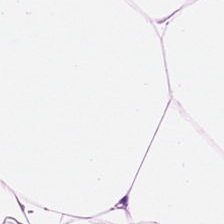Hematoxylin and eosin · 224×224 px patch.
The tissue here is adipose.
